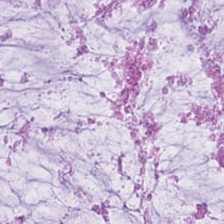H&E stain — Predominant tissue = mucin.
